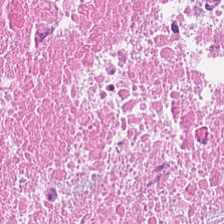224×224 pixel tile. Hematoxylin and eosin. Q: What is the predominant tissue type?
A: Necrotic debris.
